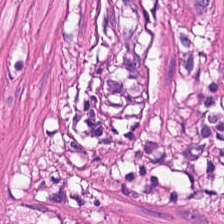H&E.
This patch shows smooth muscle.
